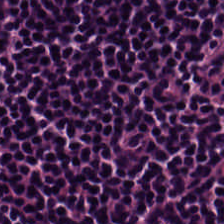H&E.
This field is lymphocyte aggregate.
